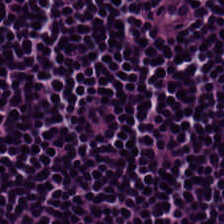Stain: H&E stain.
Tile size: 224×224 px patch.
Preparation: FFPE.
Tissue class: lymphocytic infiltrate.
